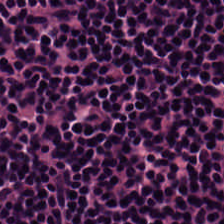H&E-stained tissue section.
{"tissue_type": "lymphocyte aggregate"}
